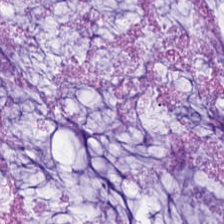H&E-stained tissue section — Histology → mucin.
